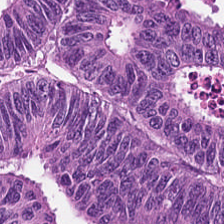Hematoxylin-and-eosin stained section.
This patch shows adenocarcinoma.
